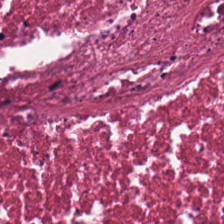Formalin-fixed paraffin-embedded section · H&E — Q: What is shown in this field?
A: It is cellular debris.
